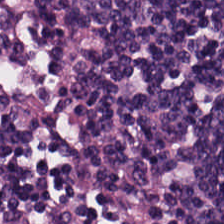H&E. Impression → lymphocytes.
